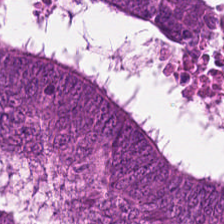H&E.
Finding — tumor epithelium.
